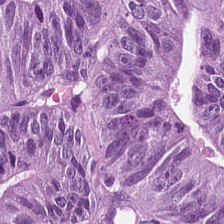224×224 px tile · H&E-stained tissue section — {"tissue_type": "adenocarcinoma"}
